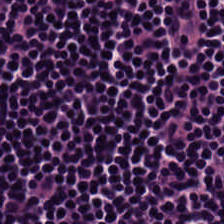Hematoxylin and eosin.
Q: What tissue is shown?
A: This is lymphocytes.
